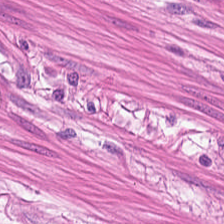Brightfield · H&E.
Tissue class: muscularis.
